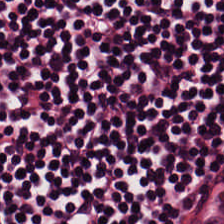Hematoxylin-and-eosin stained section. Histology — lymphocytes.
